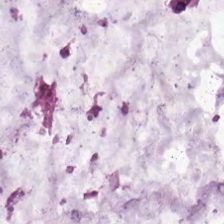Whole-slide-image patch; H&E-stained tissue section; 224×224 px tile.
Q: What is shown in this field?
A: The field shows mucin.
